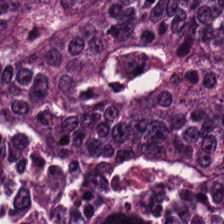Hematoxylin and eosin; WSI patch; formalin-fixed paraffin-embedded section — Malignant epithelium.
